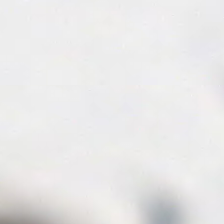Background — no tissue in this field.
